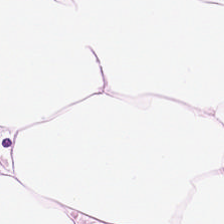The predominant tissue is adipose.
